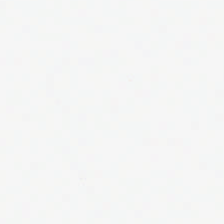224×224 px patch. H&E-stained tissue section.
Empty background.
